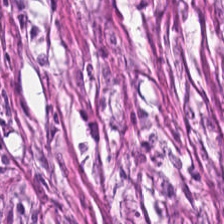H&E.
Desmoplastic stroma.
